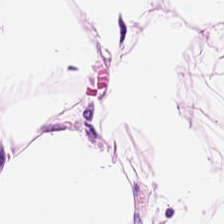H&E-stained tissue section.
Q: What does this patch show?
A: This is adipocytes.
